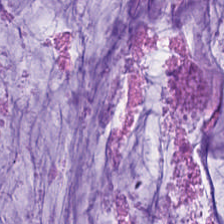Brightfield. Hematoxylin-and-eosin stained section — Classification: mucus.
